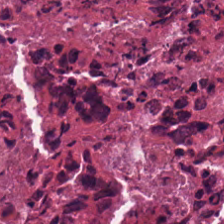H&E.
{"tissue_type": "debris"}
